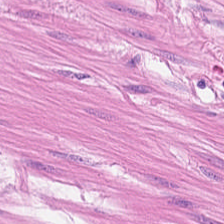Tissue class = smooth muscle.
